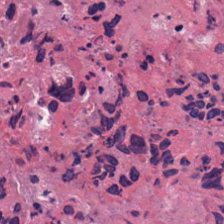H&E. Predominantly debris.
